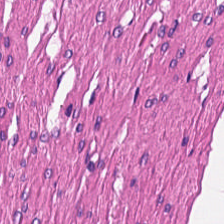Stain: H&E stain.
Predominant tissue: smooth muscle.
